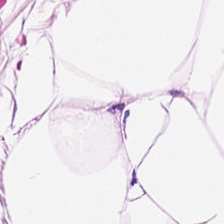Tissue class = fat tissue.
